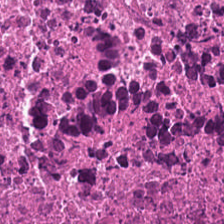The predominant tissue is debris.
